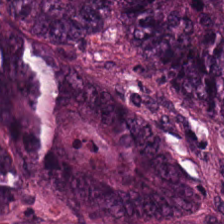Hematoxylin-and-eosin stained section — Q: Identify the tissue.
A: The field shows tumor epithelium.
